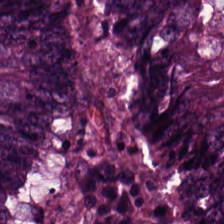Finding → adenocarcinoma.
